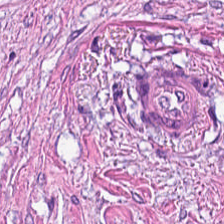20× equivalent magnification · H&E-stained tissue section.
Finding → tumor-associated stroma.
